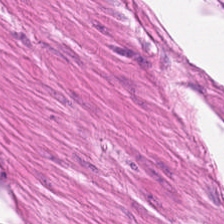H&E stain. Q: What is the predominant tissue type?
A: This is smooth muscle.
